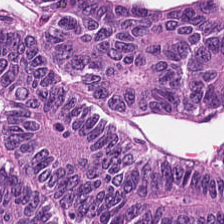Formalin-fixed paraffin-embedded section. H&E-stained tissue section. Brightfield microscopy. The classification is colorectal adenocarcinoma epithelium.
